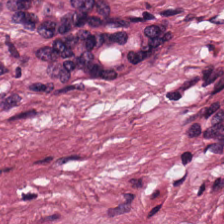H&E stain. 224×224 px patch — Tissue type = desmoplastic stroma.
